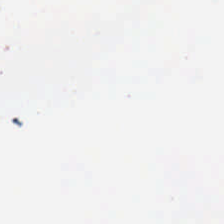224×224 px patch · 0.5 µm per pixel · H&E stain.
This patch shows no tissue.
